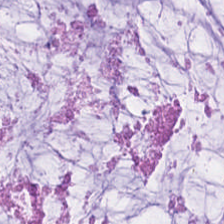Hematoxylin-and-eosin stained section. {"tissue_type": "mucus"}
